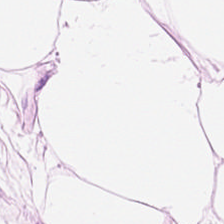H&E; WSI patch.
Q: What tissue type is shown here?
A: It is fat tissue.
